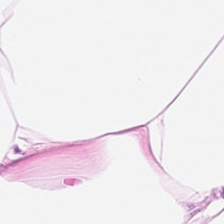Q: What is shown in this field?
A: This is fat tissue.
